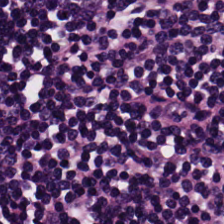H&E-stained tissue section. 224×224 px tile.
Predominant tissue: lymphocyte aggregate.
